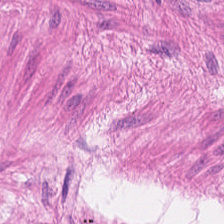H&E stain. Classification = smooth muscle.
